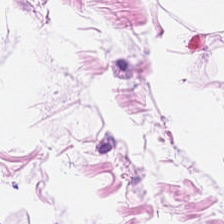Impression — adipose tissue.
